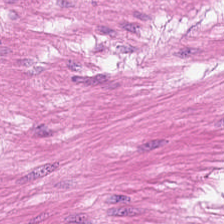Stain: hematoxylin-and-eosin stained section.
Tissue type: smooth-muscle tissue.
